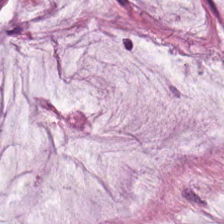H&E stain.
Showing extracellular mucin.
